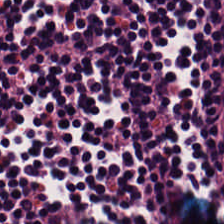Finding → lymphocyte aggregate.
